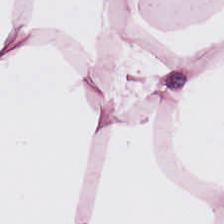This patch shows adipose.
